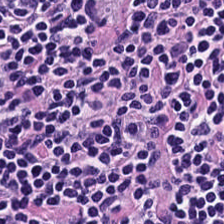This field is lymphocytes.
